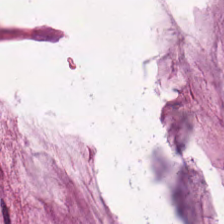Stain: hematoxylin-and-eosin stained section.
Preparation: FFPE.
Acquisition: brightfield microscopy.
Tissue class: mucin.
